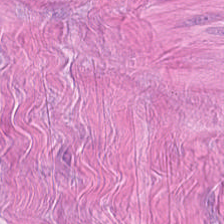Stain: H&E-stained tissue section.
Tissue type: smooth muscle.
